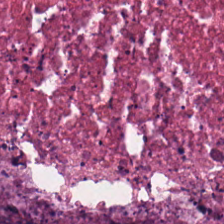Hematoxylin-and-eosin stained section. 224×224 pixel tile. Predominant tissue: necrotic debris.
